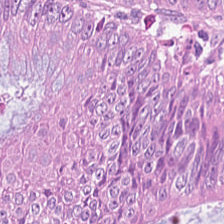H&E · FFPE — Predominantly tumor epithelium.
